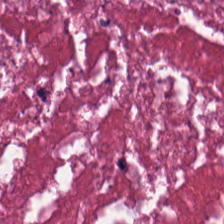H&E-stained tissue section · FFPE. The tissue class is debris.
